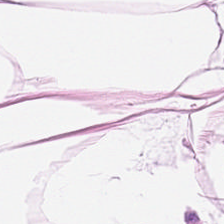Stain: hematoxylin-and-eosin stained section.
Acquisition: whole-slide-image patch.
Tissue class: adipocytes.
